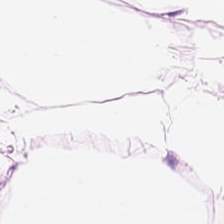Impression — adipocytes.
